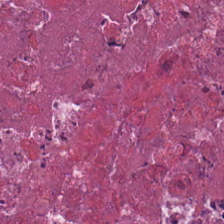This field is debris.
